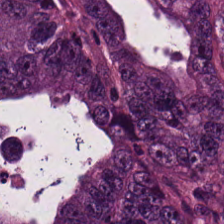Adenocarcinoma.
